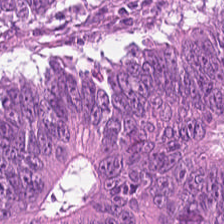Q: What tissue type is shown here?
A: Colorectal adenocarcinoma.
